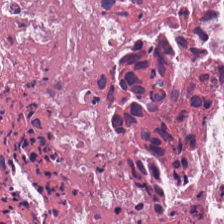Whole-slide-image patch · hematoxylin-and-eosin stained section — The tissue here is debris.
